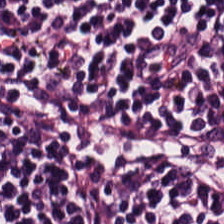Stain: H&E stain.
Tile size: 224×224 pixel tile.
Classification: lymphocytic infiltrate.
